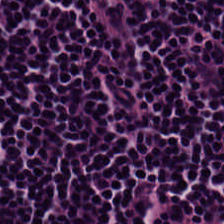The tissue here is lymphocytic infiltrate.
